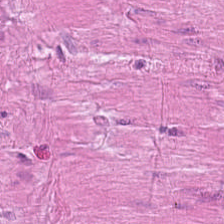Hematoxylin and eosin · 0.5 microns per pixel · brightfield.
Q: What tissue type is shown here?
A: It is smooth muscle.
